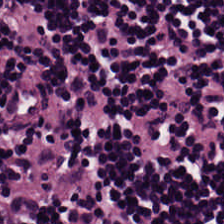Hematoxylin-and-eosin stained section; 224×224 pixel tile — Q: Classify this patch.
A: It is lymphocyte aggregate.
